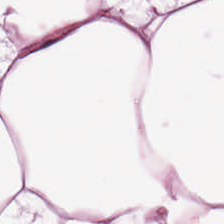Hematoxylin-and-eosin stained section. Histology — fat tissue.
